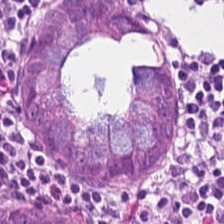H&E stain — Tissue — normal colon mucosa.
